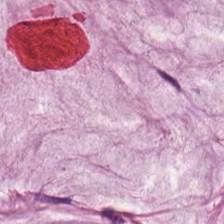Hematoxylin-and-eosin stained section — Classification: mucus.
